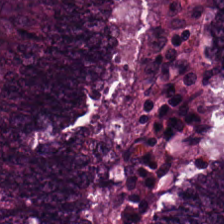Hematoxylin and eosin. The tissue here is malignant epithelium.
